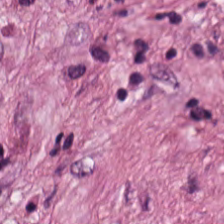Brightfield; H&E stain — Tissue type — desmoplastic stroma.
